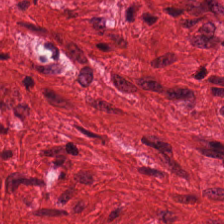H&E — smooth-muscle tissue.
